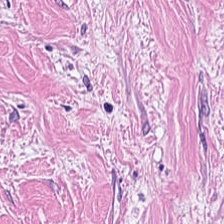224×224 px patch; H&E.
The tissue class is tumor-associated stroma.
